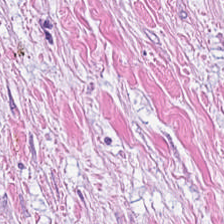H&E — desmoplastic stroma.
